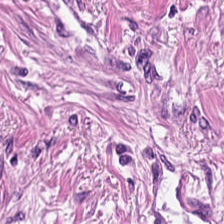H&E-stained section; the field shows cancer-associated stroma.
